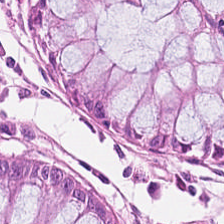H&E patch showing benign colonic mucosa.
